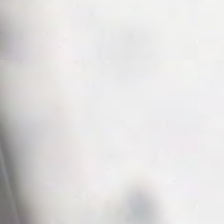H&E stain · brightfield microscopy. This field is background (no tissue).
